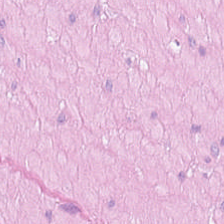H&E — Q: What is shown in this field?
A: Smooth muscle.
